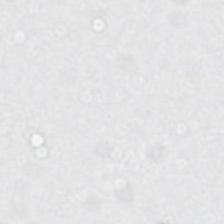H&E · FFPE.
Field content: background.
